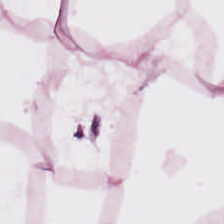224×224 pixel tile; hematoxylin-and-eosin stained section.
{"tissue_type": "fat tissue"}
